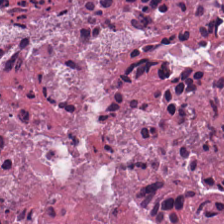H&E — Classification = debris.
